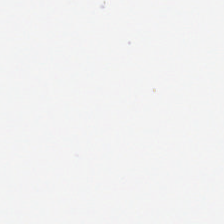This field is background (no tissue).
